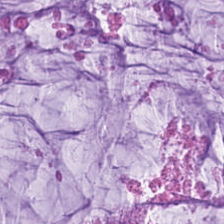Histology → mucus.
